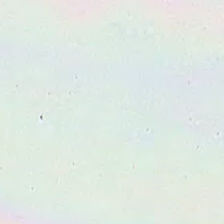Brightfield microscopy; H&E stain.
Empty field — no tissue.
